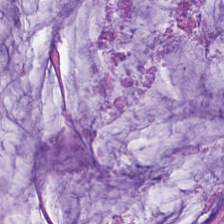Tissue = extracellular mucin.
